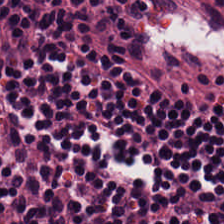H&E.
The predominant tissue is lymphoid infiltrate.
